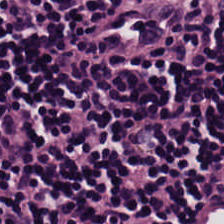Tissue type — lymphocytic infiltrate.
